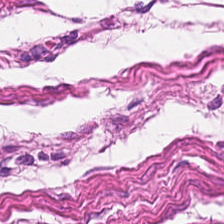H&E-stained tissue section. 20× equivalent magnification — Showing smooth muscle.
